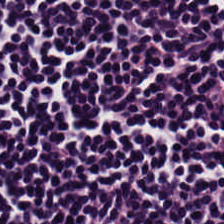H&E — The predominant tissue is lymphoid infiltrate.
